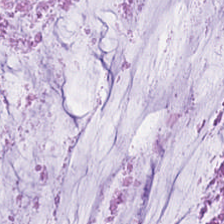The predominant tissue is mucus.
